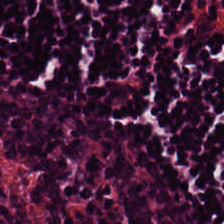H&E; 224×224 pixel tile — This field is lymphoid infiltrate.
